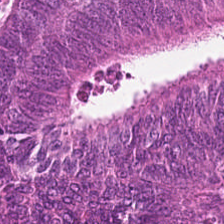Hematoxylin and eosin · 224×224 pixel tile.
Predominant tissue = adenocarcinoma.
